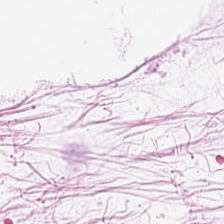H&E stain.
Histology — adipocytes.
